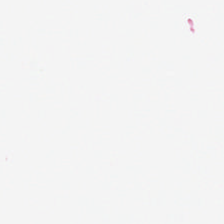{"content": "empty background"}
